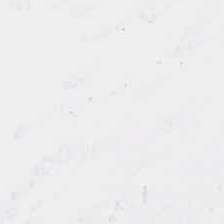Stain: H&E-stained tissue section.
Tile size: 224×224 pixel tile.
Content: background (no tissue).
